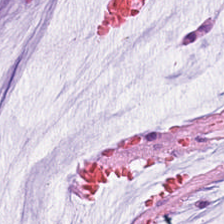H&E-stained tissue section.
The tissue class is extracellular mucin.
